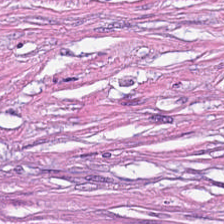Brightfield microscopy · formalin-fixed paraffin-embedded section · H&E stain. Desmoplastic stroma.
